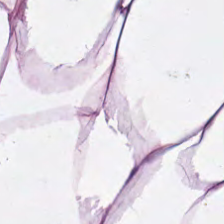Hematoxylin-and-eosin stained section — Q: What is the predominant tissue type?
A: The field shows adipocytes.
